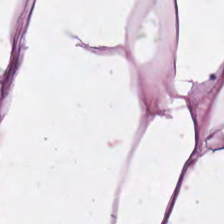H&E-stained tissue section; 0.5 microns per pixel. Adipose tissue.
